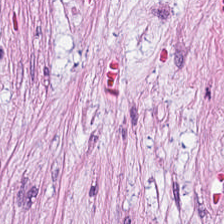Q: What tissue is shown?
A: Desmoplastic stroma.
